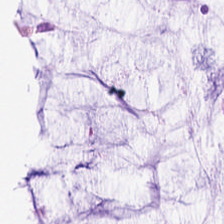Hematoxylin-and-eosin stained section.
Histology → mucus.
